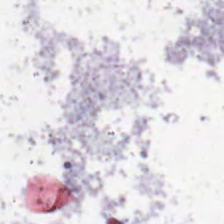H&E stain — Q: What is shown here?
A: It is empty background.
